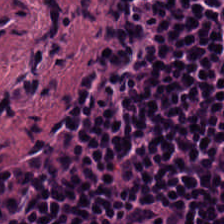Hematoxylin and eosin. The tissue here is lymphoid infiltrate.
